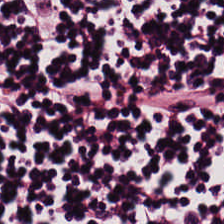WSI patch · H&E — Showing lymphocyte aggregate.
